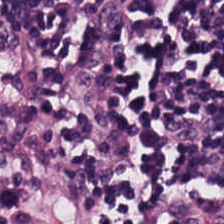Stain: H&E.
Predominant tissue: lymphocyte aggregate.
